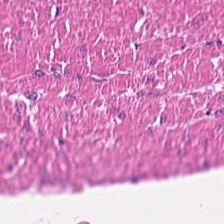Q: What tissue is shown?
A: This is smooth-muscle tissue.
